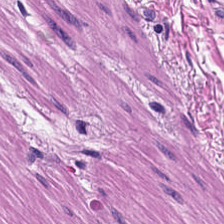20× equivalent magnification; hematoxylin and eosin.
{"tissue_type": "muscularis"}
